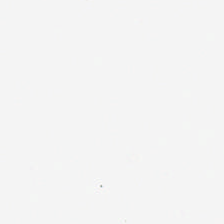This field is background (no tissue).
